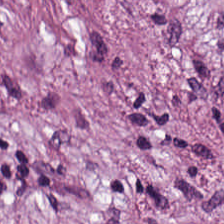Hematoxylin-and-eosin stained section.
Q: What is shown here?
A: This is desmoplastic stroma.
